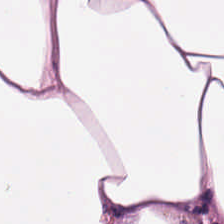Tissue type = fat tissue.
